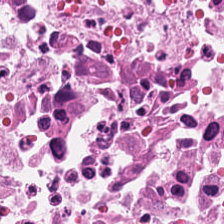Stain: H&E-stained tissue section.
Acquisition: brightfield.
Resolution: 0.5 µm/px.
Tissue: debris.
